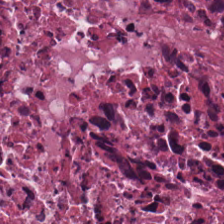Classification — necrotic debris.
